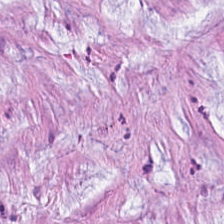H&E stain — Histology — extracellular mucin.
